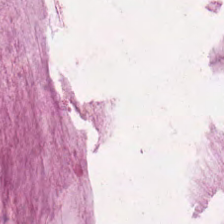WSI patch · formalin-fixed paraffin-embedded section · H&E stain — Q: What tissue is shown?
A: It is mucus.
